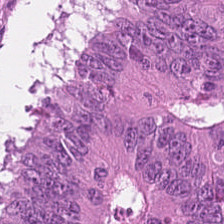H&E-stained tissue section.
Classification = malignant epithelium.
